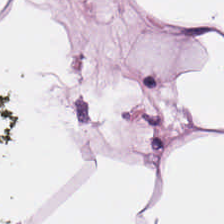H&E · FFPE tissue section. The tissue type is adipose.
